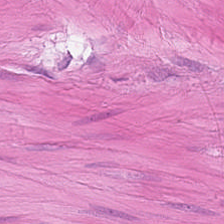H&E stain. 224×224 pixel tile — This patch shows muscularis.
